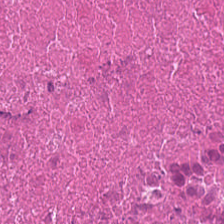Hematoxylin and eosin. The tissue here is necrotic debris.
